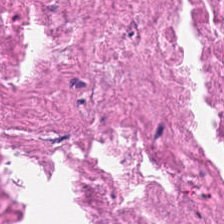Hematoxylin and eosin.
Tissue = debris.
